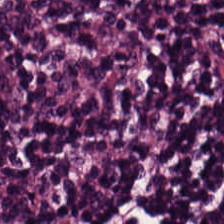Hematoxylin-and-eosin stained section. The classification is lymphocyte aggregate.
